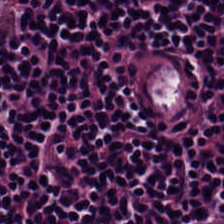Stain: hematoxylin and eosin.
Predominant tissue: lymphocytes.
